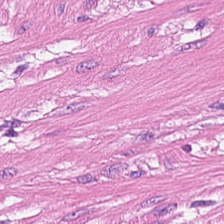The tissue type is muscularis.
